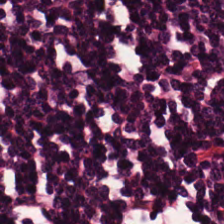0.5 µm per pixel. H&E-stained tissue section.
Predominantly lymphocyte aggregate.
